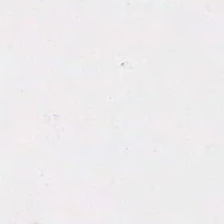Stain: H&E stain.
Preparation: FFPE.
Resolution: 20× equivalent magnification.
Classification: no tissue.
